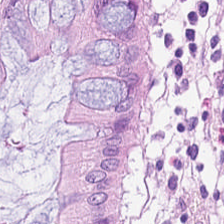Stain: H&E.
Tile size: 224×224 pixel tile.
Resolution: 0.5 µm/px.
Tissue type: non-neoplastic colon mucosa.
